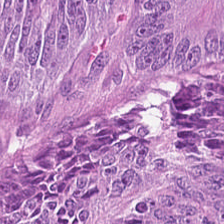H&E-stained tissue section · FFPE tissue section.
Classification — colorectal adenocarcinoma.
